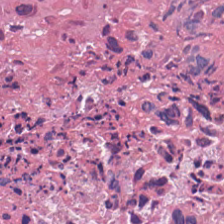H&E-stained tissue section — This field is necrotic debris.
